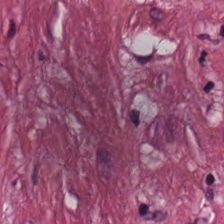H&E-stained tissue section — This patch shows tumor-associated stroma.
